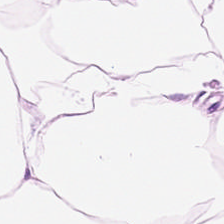Stain: hematoxylin-and-eosin stained section.
Acquisition: WSI patch.
Preparation: FFPE tissue section.
Classification: adipose.
